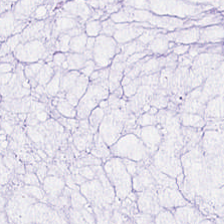Hematoxylin-and-eosin stained section. Predominant tissue — mucus.
